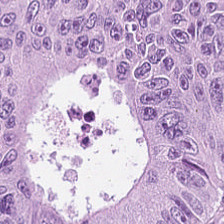Q: What is the predominant tissue type?
A: The field shows adenocarcinoma.
